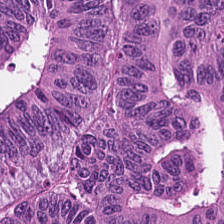H&E stain; 20× equivalent magnification.
{"tissue_type": "colorectal adenocarcinoma epithelium"}
